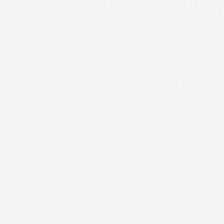0.5 µm/px; 224×224 pixel tile; H&E-stained tissue section.
Classification — empty background.
